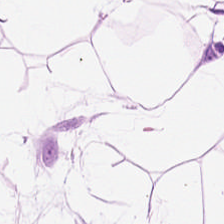0.5 µm/px; whole-slide-image patch; hematoxylin-and-eosin stained section.
Tissue type — fat tissue.
